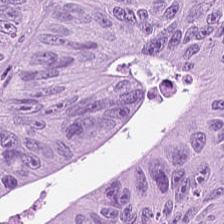224×224 px patch. Brightfield microscopy. H&E-stained tissue section. The tissue type is malignant epithelium.
